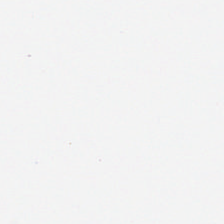Hematoxylin and eosin.
Q: What is shown in this field?
A: It is empty background.
